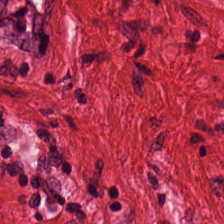H&E stain.
The predominant tissue is smooth-muscle tissue.
